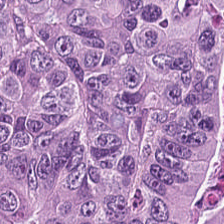Histology → adenocarcinoma.
